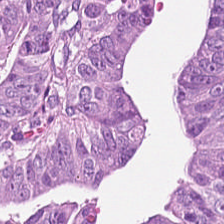Stain: H&E stain.
Resolution: 20× equivalent magnification.
Tissue class: adenocarcinoma.
